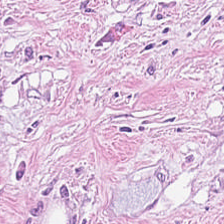Predominant tissue — tumor stroma.
